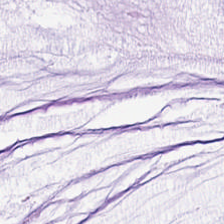Stain: H&E.
Classification: mucus.
